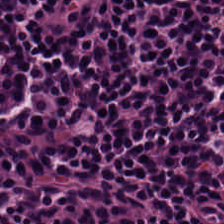Hematoxylin-and-eosin stained section.
Q: What type of tissue is this?
A: The field shows lymphocytes.
